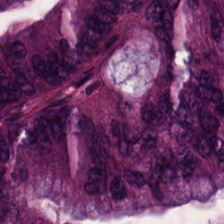H&E stain — {"tissue_type": "colorectal adenocarcinoma epithelium"}
